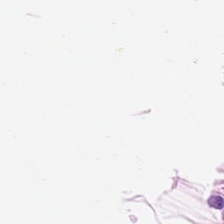Whole-slide-image patch · 224×224 px patch · hematoxylin-and-eosin stained section. Q: What tissue is shown?
A: Adipose.
